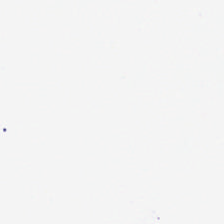Hematoxylin and eosin. Formalin-fixed paraffin-embedded section.
Q: What does this patch show?
A: The field shows background.
